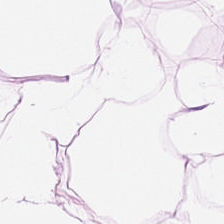Hematoxylin and eosin. FFPE tissue section. Predominantly adipocytes.
